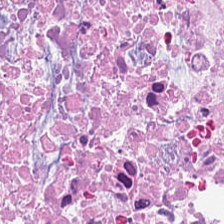0.5 microns per pixel; H&E — Predominantly debris.
